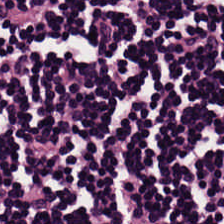Hematoxylin-and-eosin stained section — Tissue class = lymphocyte aggregate.
